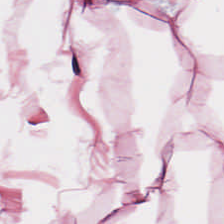Finding — fat tissue.
